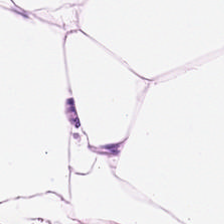H&E · 224×224 pixel tile.
Finding → adipocytes.
